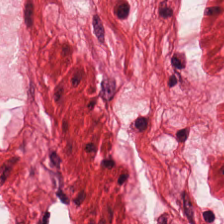Stain: hematoxylin-and-eosin stained section.
Preparation: FFPE tissue section.
Classification: muscularis.
